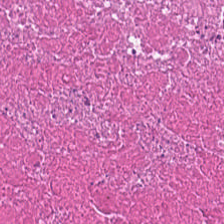Hematoxylin and eosin — Showing necrotic debris.
